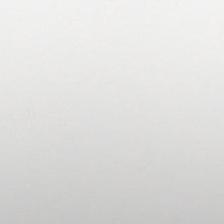Impression → background (no tissue).
